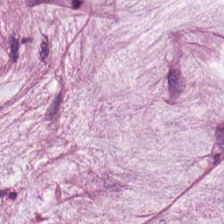Hematoxylin-and-eosin stained section. WSI patch. The predominant tissue is extracellular mucin.
